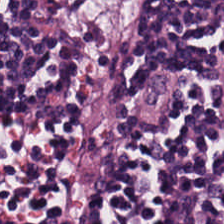Hematoxylin and eosin — Tissue class = lymphocyte aggregate.
